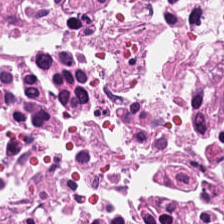Hematoxylin and eosin; 224×224 pixel tile.
Classification = necrotic debris.
